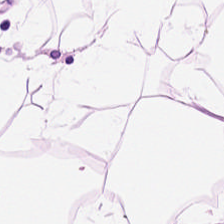0.5 microns per pixel; FFPE; H&E stain.
Tissue = adipose tissue.
